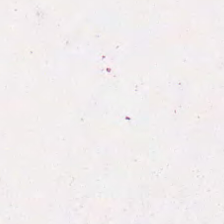Hematoxylin-and-eosin stained section.
Classification: extracellular mucin.
